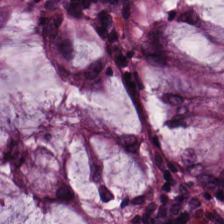0.5 µm per pixel · H&E. Tissue type — normal colonic mucosa.
